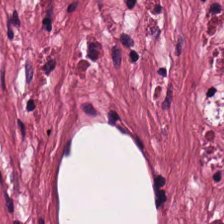Whole-slide-image patch; H&E. Impression — tumor-associated stroma.
